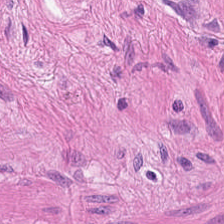Hematoxylin-and-eosin section: muscularis.
